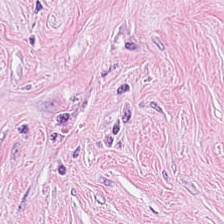0.5 microns per pixel; H&E stain; 224×224 pixel tile.
Classification — tumor stroma.
